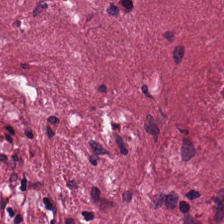H&E.
{"tissue_type": "desmoplastic stroma"}
